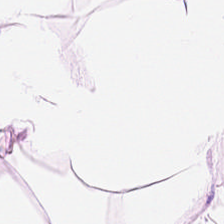Whole-slide-image patch; H&E stain.
This field is adipose tissue.
